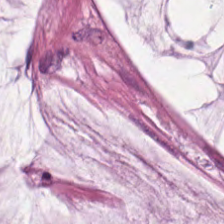{"tissue_type": "mucus"}
